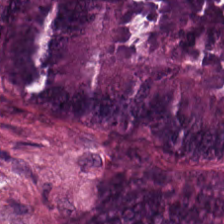20× equivalent magnification; H&E stain; brightfield microscopy.
Malignant epithelium.
